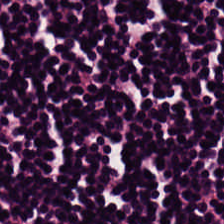Stain: H&E-stained tissue section.
Classification: lymphocytic infiltrate.
